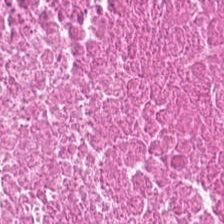FFPE · hematoxylin and eosin.
Showing debris.
